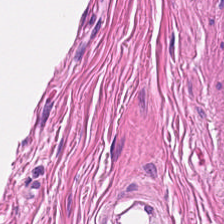H&E-stained tissue section; FFPE.
Classification — smooth muscle.
